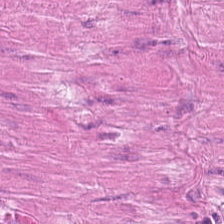H&E-stained tissue section.
This patch shows muscularis.
